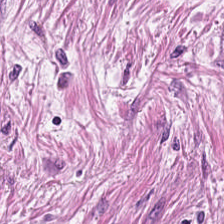Tissue class: desmoplastic stroma.
